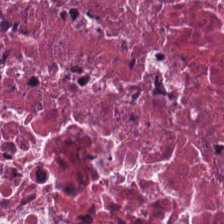H&E. 0.5 µm per pixel. FFPE — Predominant tissue — necrotic debris.
